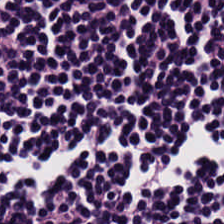Hematoxylin-and-eosin section: lymphocyte aggregate.
